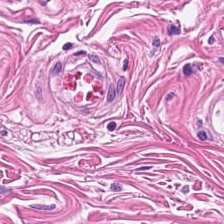Stain: hematoxylin-and-eosin stained section.
Tile size: 224×224 px patch.
Classification: muscularis.
